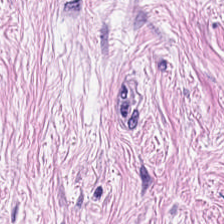FFPE; hematoxylin-and-eosin stained section.
Finding → tumor-associated stroma.
